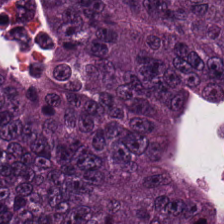Stain: hematoxylin-and-eosin stained section.
Tissue type: tumor epithelium.
